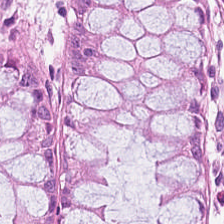FFPE · hematoxylin-and-eosin stained section.
This field is non-neoplastic colon mucosa.
